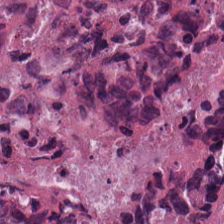H&E — The tissue type is debris.
